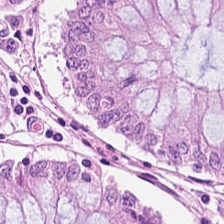Stain: hematoxylin-and-eosin stained section.
Tile size: 224×224 px patch.
Classification: normal colonic mucosa.
